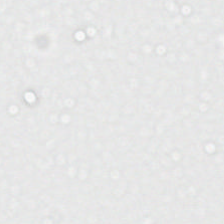Hematoxylin-and-eosin stained section. Impression — empty background.
